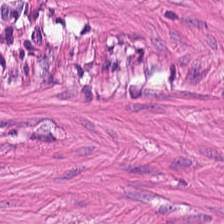H&E stain — Smooth muscle.
